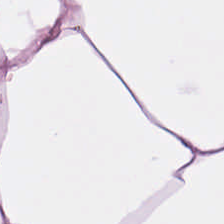Hematoxylin-and-eosin stained section. 224×224 px patch. Brightfield — Tissue type = fat tissue.
